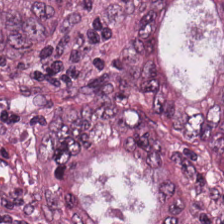0.5 microns per pixel · whole-slide-image patch · H&E-stained tissue section. Tissue type: tumor epithelium.
